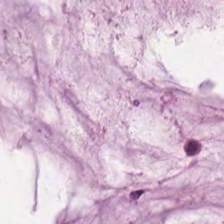Stain: H&E stain.
Tile size: 224×224 px tile.
Resolution: 0.5 µm/px.
Tissue type: extracellular mucin.
